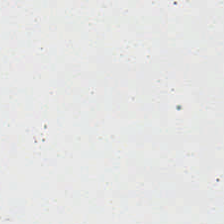20× equivalent magnification. 224×224 pixel tile. H&E stain.
Q: What is shown here?
A: The field shows no tissue.
